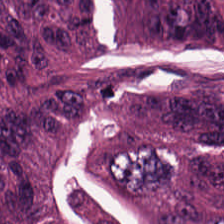224×224 pixel tile; H&E-stained tissue section.
The predominant tissue is tumor epithelium.
